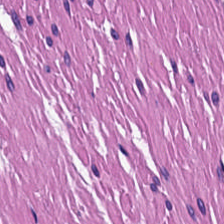H&E — Predominantly smooth-muscle tissue.
